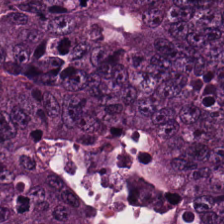Stain: H&E.
Acquisition: brightfield microscopy.
Tissue class: tumor epithelium.
